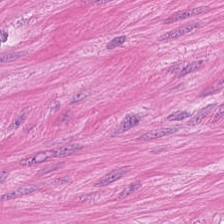Q: What tissue is shown?
A: It is smooth muscle.
